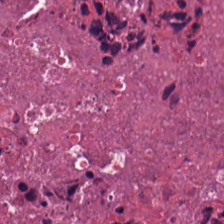Hematoxylin and eosin. Finding — necrotic debris.
